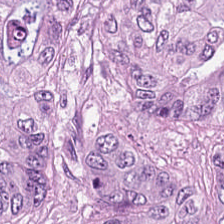Tissue: colorectal adenocarcinoma epithelium.
